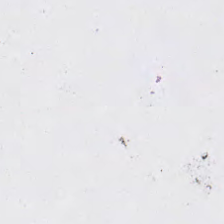Hematoxylin and eosin.
Q: Classify this patch.
A: The field shows background (no tissue).
